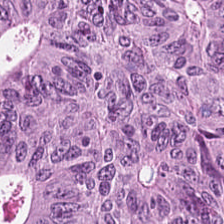Hematoxylin-and-eosin stained section — Tissue — tumor epithelium.
